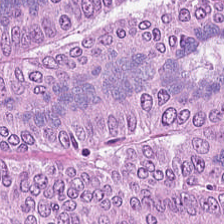Hematoxylin-and-eosin stained section. Brightfield microscopy. 20× equivalent magnification — Colorectal adenocarcinoma.
